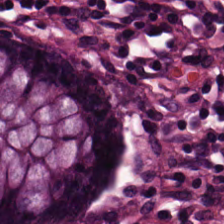Hematoxylin and eosin · 224×224 px tile · FFPE.
The predominant tissue is benign colonic mucosa.
